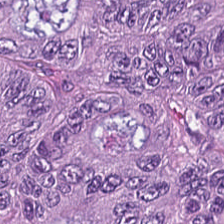Formalin-fixed paraffin-embedded section · 224×224 px tile · hematoxylin and eosin — The tissue type is tumor epithelium.
